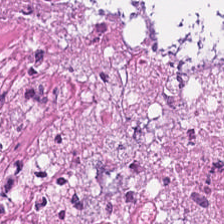224×224 px tile · H&E · formalin-fixed paraffin-embedded section — This patch shows necrotic debris.
